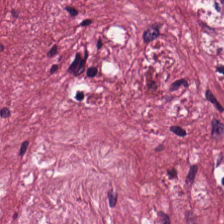H&E. Cancer-associated stroma.
